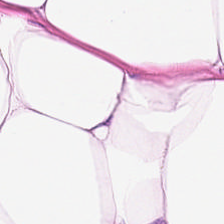Hematoxylin-and-eosin stained section.
Adipose tissue.
